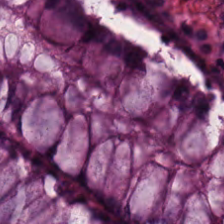Hematoxylin and eosin. The tissue here is normal colon mucosa.
